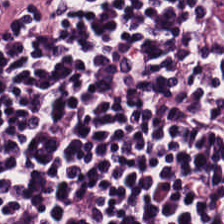Hematoxylin-and-eosin stained section. Impression — lymphocyte aggregate.
